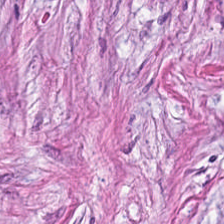Hematoxylin-and-eosin stained section. 224×224 px patch. The tissue here is tumor stroma.
